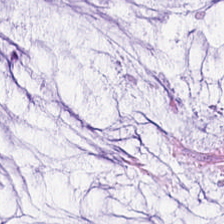Hematoxylin and eosin — The predominant tissue is mucus.
